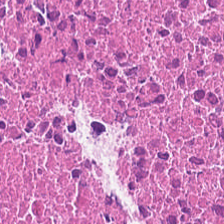H&E. Predominant tissue = cellular debris.
